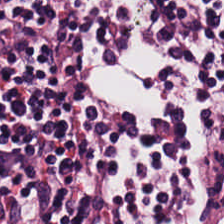FFPE · H&E-stained tissue section — The predominant tissue is lymphocyte aggregate.
